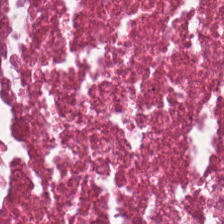Showing necrotic debris.
